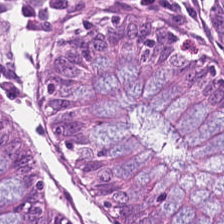H&E-stained tissue section · 224×224 px tile · whole-slide-image patch.
Histology → benign colonic mucosa.
